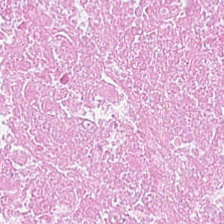Hematoxylin and eosin · 224×224 pixel tile. Tissue: necrotic debris.
